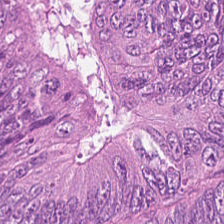0.5 µm per pixel; WSI patch; H&E-stained tissue section — Q: Identify the tissue.
A: The field shows colorectal adenocarcinoma.
